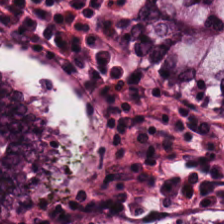H&E. This field is normal colonic mucosa.
